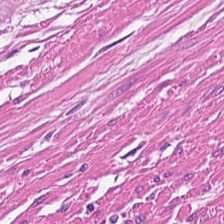H&E. The tissue here is smooth muscle.
